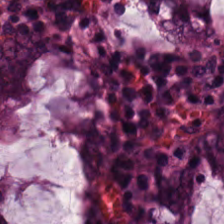H&E stain. WSI patch. FFPE.
Q: What tissue type is shown here?
A: The field shows normal colonic mucosa.
